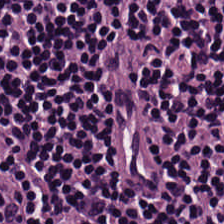FFPE tissue section · hematoxylin-and-eosin stained section. Tissue type — lymphocyte aggregate.
